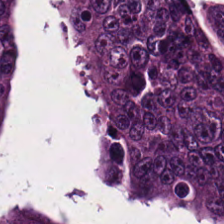Hematoxylin and eosin · FFPE tissue section — Q: What is shown here?
A: This is malignant epithelium.
